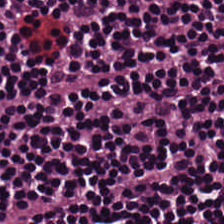H&E stain. The tissue type is lymphocyte aggregate.
